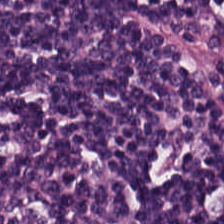Hematoxylin and eosin — Finding — lymphoid infiltrate.
